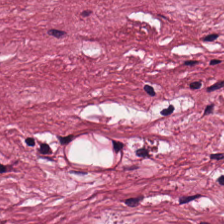The classification is tumor stroma.
